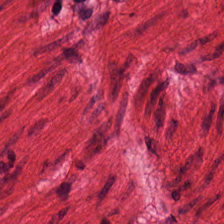H&E stain; 0.5 microns per pixel — Histology — smooth-muscle tissue.
